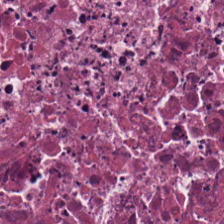Hematoxylin and eosin. This patch shows debris.
